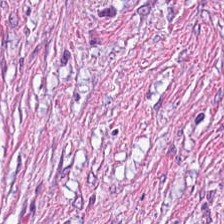Q: Classify this patch.
A: The field shows tumor-associated stroma.
